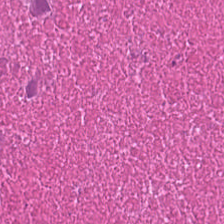H&E.
This field is debris.
